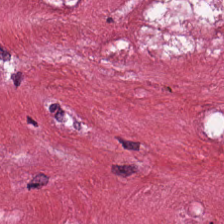H&E — Classification — tumor stroma.
